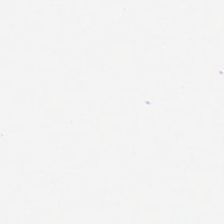H&E stain. 224×224 px patch.
Background — no tissue in this field.
